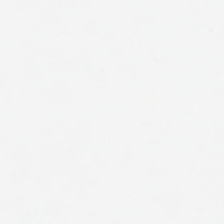Hematoxylin and eosin · whole-slide-image patch · 0.5 microns per pixel. Background — no tissue in this field.
